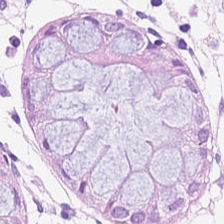Q: Identify the tissue.
A: Benign colonic mucosa.
